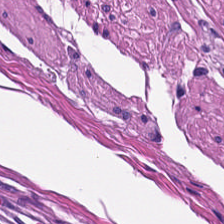Hematoxylin-and-eosin stained section; 224×224 px patch.
Q: What type of tissue is this?
A: This is smooth muscle.
